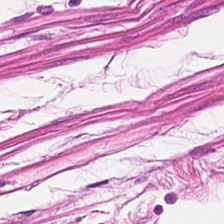20× equivalent magnification. H&E-stained tissue section.
Tissue class: smooth-muscle tissue.
